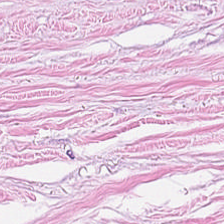Q: What tissue type is shown here?
A: It is cancer-associated stroma.
